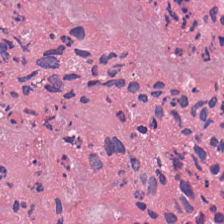H&E — Tissue class: necrotic debris.
